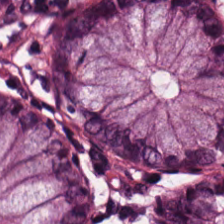H&E-stained tissue section; brightfield. {"tissue_type": "normal colon mucosa"}
